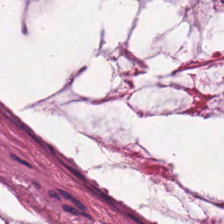Hematoxylin and eosin. Brightfield.
Tissue = mucin.
